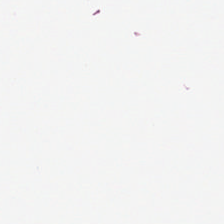Brightfield. H&E. FFPE tissue section. Field content — empty background.
